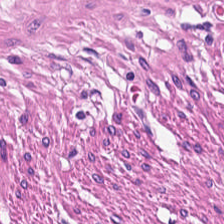{"tissue_type": "smooth-muscle tissue"}
